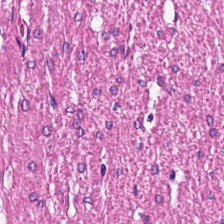Stain: hematoxylin-and-eosin stained section.
Tissue type: smooth muscle.
